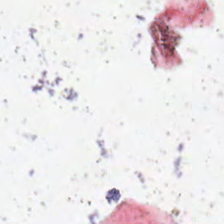FFPE tissue section. H&E. 0.5 µm per pixel — This field is background (no tissue).
